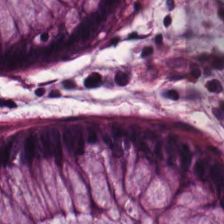Hematoxylin-and-eosin stained section. The predominant tissue is normal colonic mucosa.
